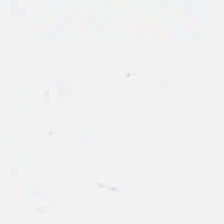FFPE tissue section · hematoxylin-and-eosin stained section — Q: What does this patch show?
A: It is empty background.
